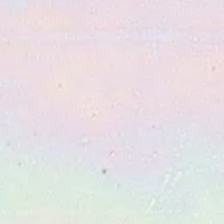{"content": "background"}
